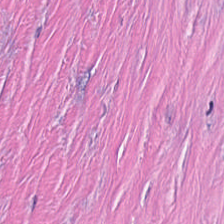H&E; WSI patch — {"tissue_type": "tumor stroma"}
